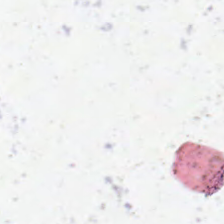H&E-stained tissue section · 0.5 microns per pixel · whole-slide-image patch. Background (no tissue).
